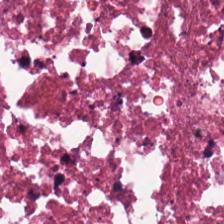Whole-slide-image patch; H&E — Predominantly necrotic debris.
